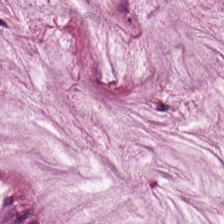Stain: hematoxylin and eosin.
Tissue class: mucin.
